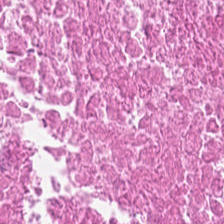H&E stain.
This patch shows cellular debris.
